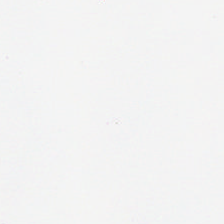Stain: H&E-stained tissue section.
Content: empty background.
